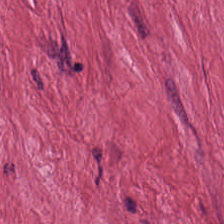Brightfield; 0.5 µm per pixel; H&E.
This patch shows tumor stroma.
